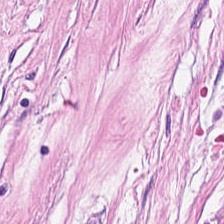H&E-stained tissue section. Q: What is the predominant tissue type?
A: The field shows tumor stroma.
